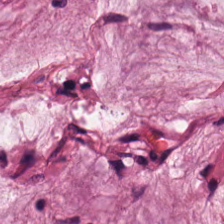FFPE; H&E.
The tissue here is mucin.
